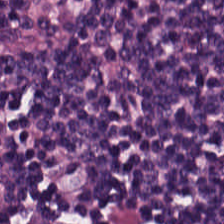H&E-stained tissue section. 224×224 pixel tile — This field is lymphocytic infiltrate.
